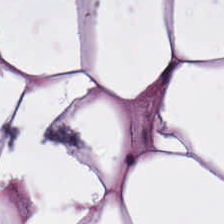H&E-stained tissue section.
Tissue: adipose.
